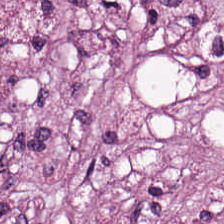0.5 µm per pixel; WSI patch; H&E stain. Cancer-associated stroma.
